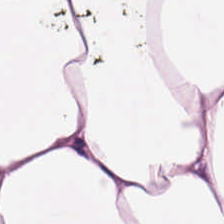Stain: hematoxylin and eosin.
Tissue type: adipocytes.
